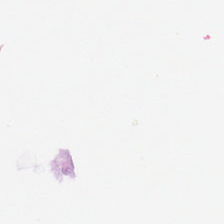Stain: hematoxylin-and-eosin stained section.
Preparation: formalin-fixed paraffin-embedded section.
Classification: empty background.
